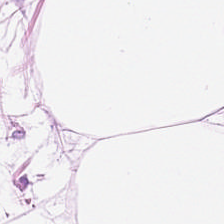The tissue here is adipocytes.
